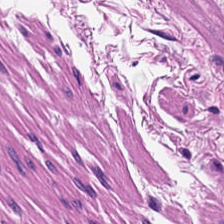Hematoxylin and eosin. 224×224 px patch.
Smooth-muscle tissue.
